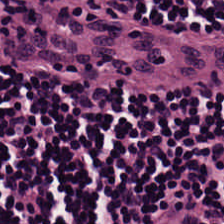H&E.
The tissue here is lymphocytic infiltrate.
